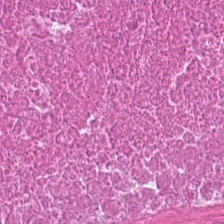224×224 px tile · hematoxylin and eosin. {"tissue_type": "debris"}
